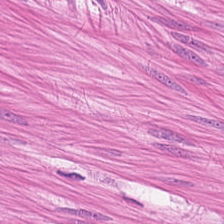H&E stain — Q: Classify this patch.
A: It is smooth-muscle tissue.
